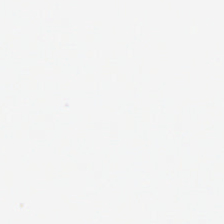Brightfield microscopy; formalin-fixed paraffin-embedded section; H&E-stained tissue section.
This field is background (no tissue).
